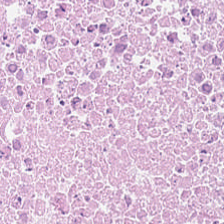Hematoxylin-and-eosin stained section; 0.5 µm per pixel; whole-slide-image patch — Classification — necrotic debris.
